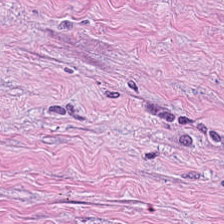{"tissue_type": "tumor-associated stroma"}
